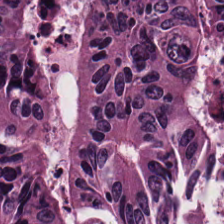224×224 px patch; H&E stain; FFPE tissue section — Adenocarcinoma.
